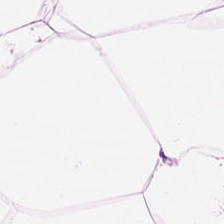Tissue class — adipose.
